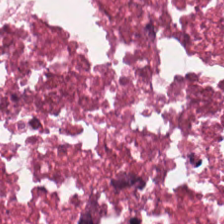Hematoxylin-and-eosin stained section.
This field is debris.
